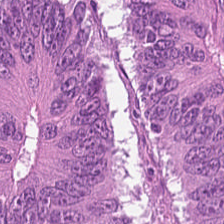224×224 px patch. H&E-stained tissue section. WSI patch.
Impression — malignant epithelium.
